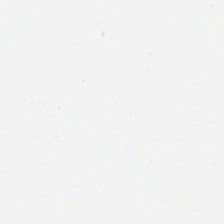224×224 pixel tile; H&E; whole-slide-image patch — Classification: empty background.
